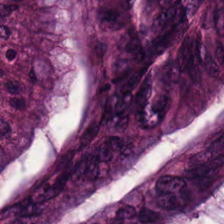Hematoxylin and eosin · FFPE.
{"tissue_type": "malignant epithelium"}
